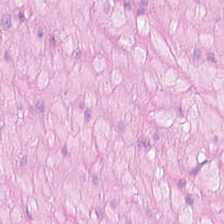H&E.
Showing muscularis.
